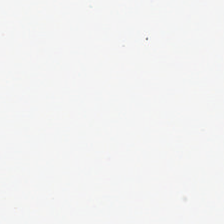FFPE. Hematoxylin-and-eosin stained section — Classification = background (no tissue).
